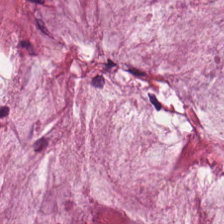0.5 µm per pixel. Formalin-fixed paraffin-embedded section. H&E stain. Q: What tissue type is shown here?
A: It is mucin.
